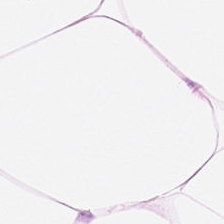Stain: H&E.
Classification: fat tissue.
